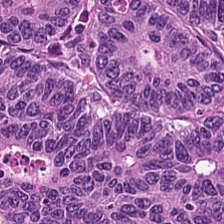FFPE tissue section · WSI patch · H&E-stained tissue section — {"tissue_type": "colorectal adenocarcinoma"}
